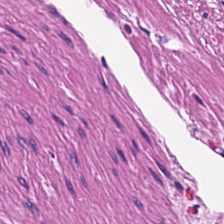Hematoxylin-and-eosin stained section — Q: What is shown here?
A: It is smooth-muscle tissue.
